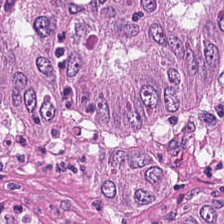H&E — tumor epithelium.
